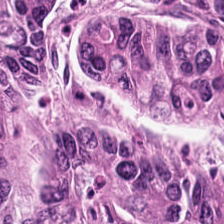20× equivalent magnification · H&E — Q: What tissue is shown?
A: It is colorectal adenocarcinoma.
